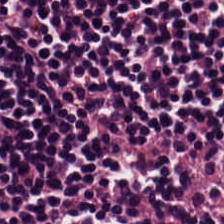H&E-stained tissue section.
The tissue here is lymphocyte aggregate.
